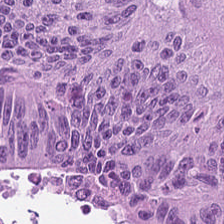H&E · FFPE.
Histology — malignant epithelium.
